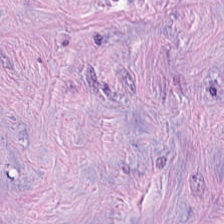Stain: H&E.
Tissue type: cancer-associated stroma.
